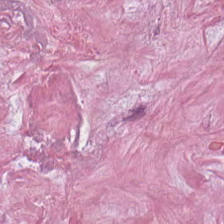Whole-slide-image patch; H&E-stained tissue section; 0.5 µm per pixel. The tissue here is tumor stroma.
